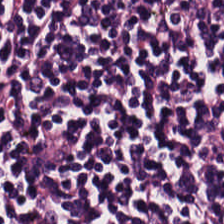H&E · WSI patch.
This patch shows lymphocytic infiltrate.
